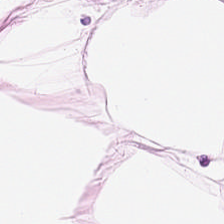Hematoxylin and eosin. This field is fat tissue.
